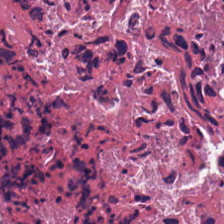Whole-slide-image patch · hematoxylin and eosin — Predominant tissue: debris.
